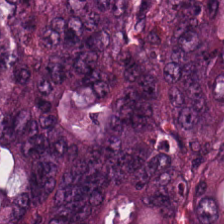Stain: H&E stain.
Tissue class: adenocarcinoma.
